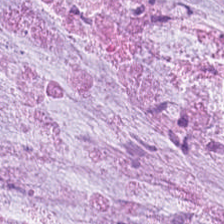The predominant tissue is mucus.
